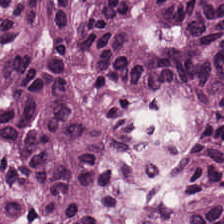Brightfield microscopy; hematoxylin and eosin. Tissue class = colorectal adenocarcinoma epithelium.
